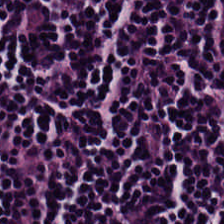Hematoxylin-and-eosin stained section.
The tissue here is lymphocytes.
